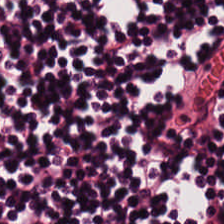H&E.
The tissue here is lymphoid infiltrate.
